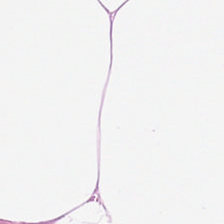H&E-stained tissue section.
This patch shows adipocytes.
